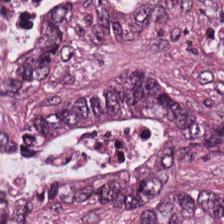This field is colorectal adenocarcinoma.
